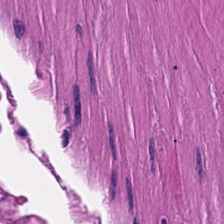H&E; 224×224 px tile; formalin-fixed paraffin-embedded section — The predominant tissue is muscularis.
